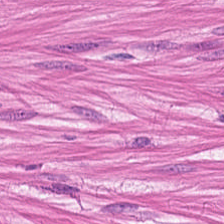H&E. {"tissue_type": "smooth-muscle tissue"}
